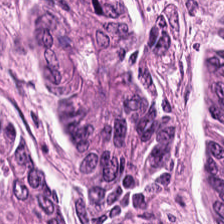Predominant tissue: colorectal adenocarcinoma.
